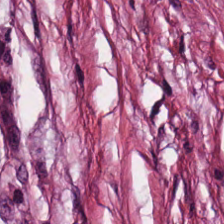Impression → tumor stroma.
